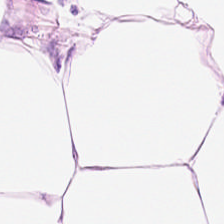Hematoxylin and eosin. Predominantly adipose tissue.
